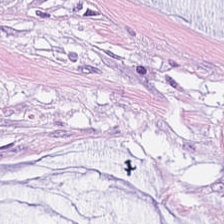Formalin-fixed paraffin-embedded section; H&E; 224×224 px patch — Histology — mucus.
